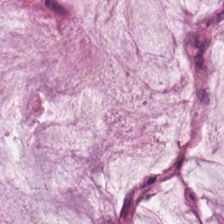Hematoxylin and eosin. {"tissue_type": "mucin"}
